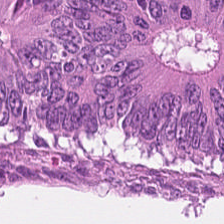Hematoxylin-and-eosin stained section.
{"tissue_type": "colorectal adenocarcinoma epithelium"}
